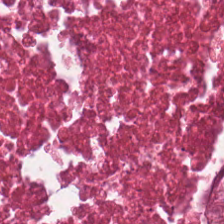Hematoxylin and eosin — This patch shows debris.
